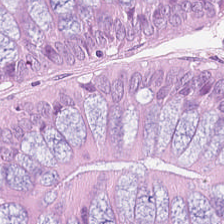H&E-stained tissue section. Tissue class — non-neoplastic colon mucosa.
